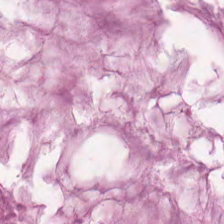{"tissue_type": "mucus"}
